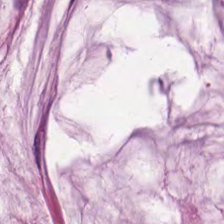Hematoxylin and eosin — Showing extracellular mucin.
